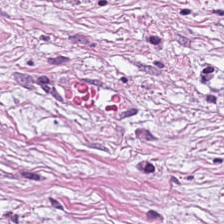The classification is cancer-associated stroma.
